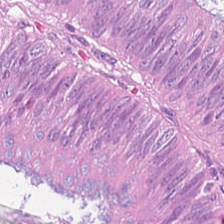Finding → malignant epithelium.
